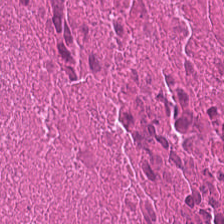H&E — Showing debris.
